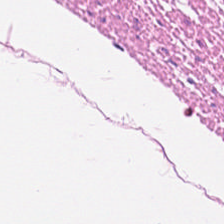Hematoxylin and eosin · 224×224 px tile. Tissue class = muscularis.
